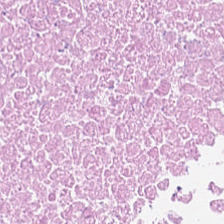H&E. The tissue is cellular debris.
